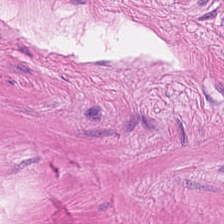H&E-stained tissue section · FFPE.
The tissue class is smooth-muscle tissue.
